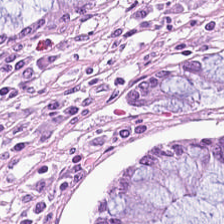H&E.
Showing normal colon mucosa.
